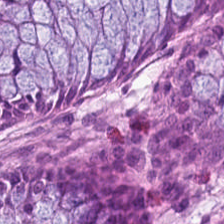Hematoxylin and eosin · FFPE tissue section — {"tissue_type": "benign colonic mucosa"}
